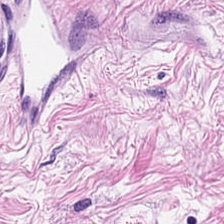H&E-stained tissue section · WSI patch · 224×224 px tile. Q: Identify the tissue.
A: Tumor stroma.
